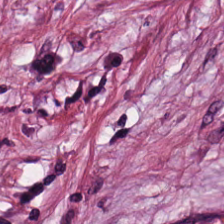224×224 px patch; H&E stain — Finding — desmoplastic stroma.
